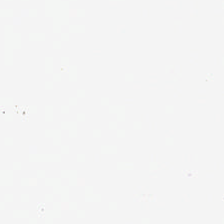Formalin-fixed paraffin-embedded section. H&E stain.
Field content: background.
